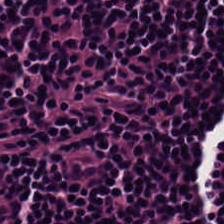This field is lymphocyte aggregate.
